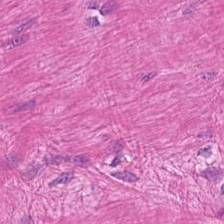Hematoxylin and eosin. Tissue = smooth-muscle tissue.
